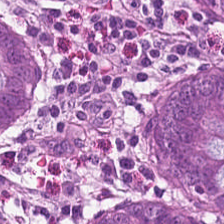Q: Identify the tissue.
A: The field shows benign colonic mucosa.
